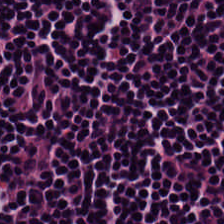H&E-stained tissue section · 224×224 px patch. Q: What type of tissue is this?
A: Lymphocyte aggregate.
